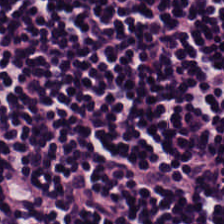Q: What tissue is shown?
A: Lymphocytic infiltrate.
